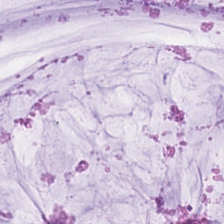H&E-stained tissue section. 0.5 microns per pixel.
Q: What is shown in this field?
A: This is extracellular mucin.
